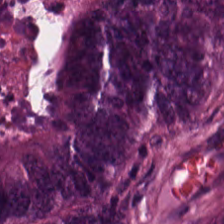Hematoxylin-and-eosin stained section.
This field is malignant epithelium.
